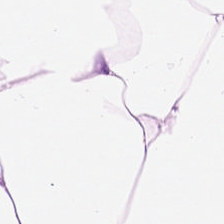Predominantly adipose.
